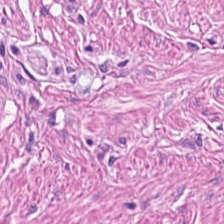H&E-stained tissue section. Showing smooth muscle.
